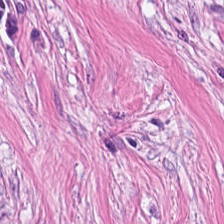WSI patch; H&E-stained tissue section; FFPE — Showing desmoplastic stroma.
